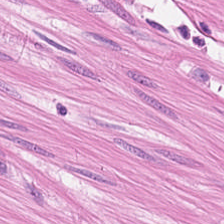0.5 µm per pixel · H&E stain · brightfield. Q: What tissue type is shown here?
A: Muscularis.
